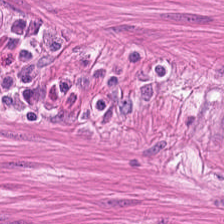224×224 px patch. H&E stain. FFPE tissue section — Tissue: muscularis.
